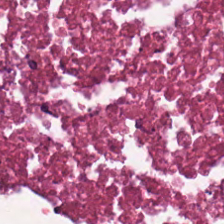Hematoxylin and eosin.
{"tissue_type": "cellular debris"}
